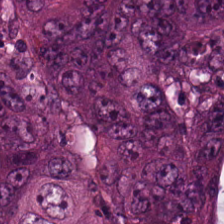224×224 px patch; WSI patch; H&E stain. This patch shows tumor epithelium.
